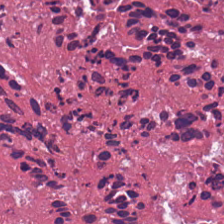Q: What type of tissue is this?
A: The field shows cellular debris.
